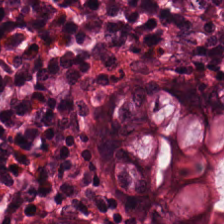Stain: H&E-stained tissue section.
Preparation: FFPE.
Predominant tissue: normal colon mucosa.
